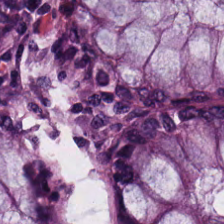Formalin-fixed paraffin-embedded section; hematoxylin-and-eosin stained section — Tissue class: normal colonic mucosa.
